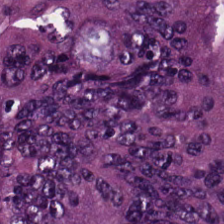Classification — colorectal adenocarcinoma.
